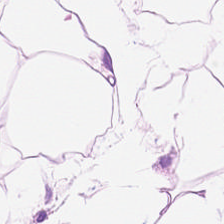H&E stain.
Finding → adipose tissue.
